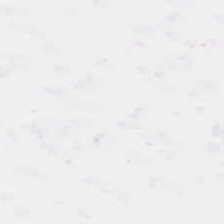H&E-stained tissue section — Q: What is shown here?
A: The field shows background.
